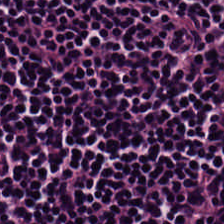Histology — lymphocytes.
